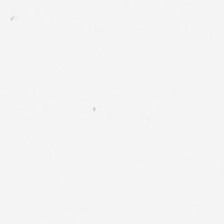Stain: hematoxylin and eosin.
Tile size: 224×224 px tile.
Field content: no tissue.
